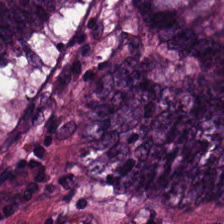H&E stain — Showing adenocarcinoma.
